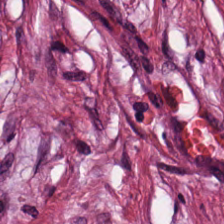Hematoxylin and eosin.
This field is tumor-associated stroma.
